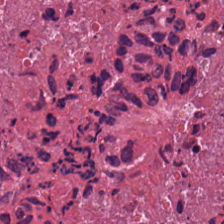Hematoxylin-and-eosin section: necrotic debris.
